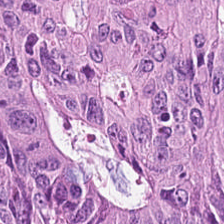Malignant epithelium.
